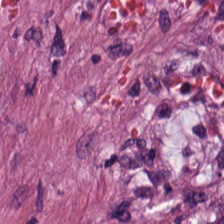This field is tumor-associated stroma.
